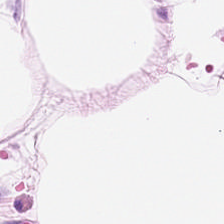Brightfield microscopy · H&E stain.
This field is adipocytes.
